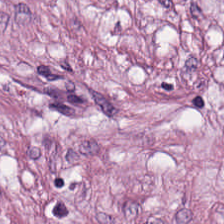This patch shows cancer-associated stroma.
